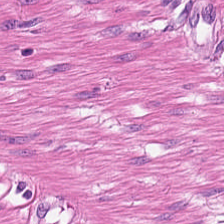H&E patch showing smooth-muscle tissue.
